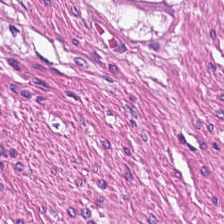Hematoxylin-and-eosin section: smooth-muscle tissue.
